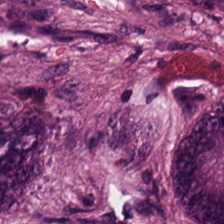H&E stain. Tissue: adenocarcinoma.
